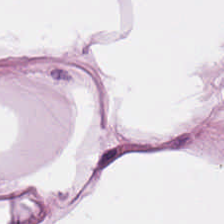Q: What tissue type is shown here?
A: This is adipose tissue.
